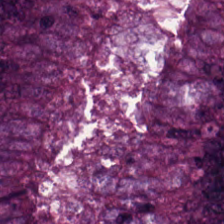H&E.
Showing malignant epithelium.
